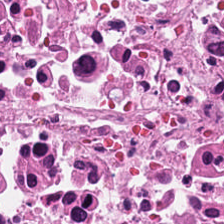Hematoxylin-and-eosin stained section; 224×224 px tile; 0.5 microns per pixel. Tissue type: debris.
